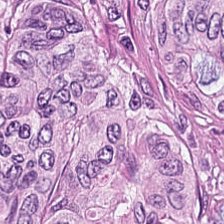FFPE tissue section · 0.5 microns per pixel · H&E.
Adenocarcinoma.
